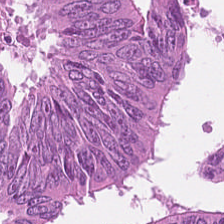H&E-stained tissue section. Showing tumor epithelium.
